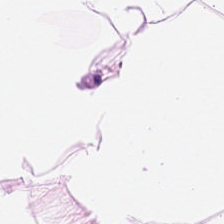20× equivalent magnification · H&E — This patch shows adipose tissue.
